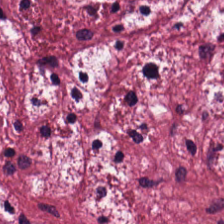H&E; brightfield; 224×224 pixel tile.
Q: What does this patch show?
A: This is tumor-associated stroma.
